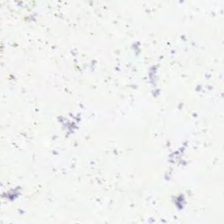Impression → background (no tissue).
